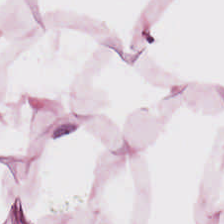Hematoxylin-and-eosin stained section; formalin-fixed paraffin-embedded section.
This patch shows adipose tissue.
